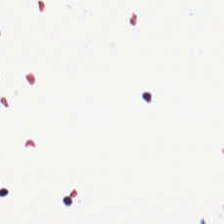Hematoxylin and eosin. Empty field — background (no tissue).
